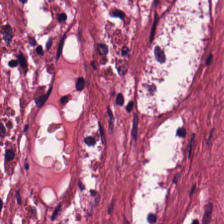Hematoxylin-and-eosin section: cancer-associated stroma.
